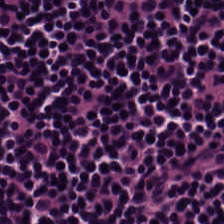Hematoxylin-and-eosin stained section — Tissue class = lymphocyte aggregate.
